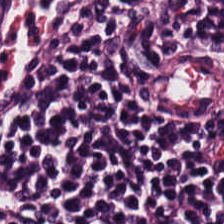224×224 px tile. Hematoxylin-and-eosin stained section — This field is lymphocytic infiltrate.
